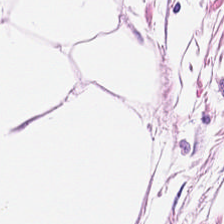Finding — adipocytes.
